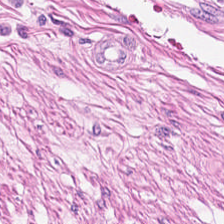H&E.
The tissue class is muscularis.
